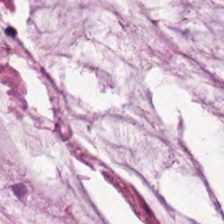FFPE tissue section · hematoxylin and eosin. Impression — mucin.
